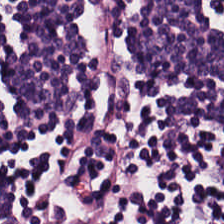Impression — lymphocyte aggregate.
